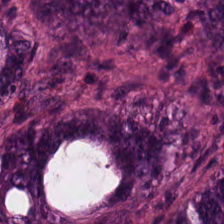H&E-stained tissue section. 224×224 pixel tile.
Q: What is shown here?
A: The field shows colorectal adenocarcinoma epithelium.
